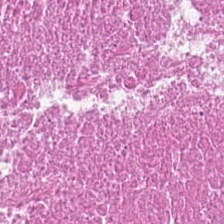Stain: H&E.
Tissue: cellular debris.
